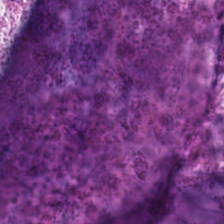224×224 px patch; 20× equivalent magnification; H&E-stained tissue section. Tissue type = mucin.
